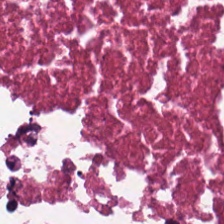Hematoxylin-and-eosin stained section.
The classification is debris.
